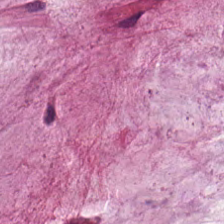Hematoxylin-and-eosin stained section — Histology → mucin.
